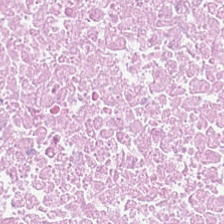224×224 px tile · hematoxylin-and-eosin stained section · 0.5 microns per pixel — Q: Classify this patch.
A: The field shows necrotic debris.
